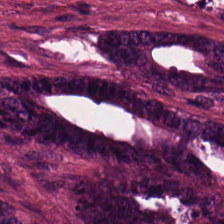H&E stain.
Tissue type: malignant epithelium.
